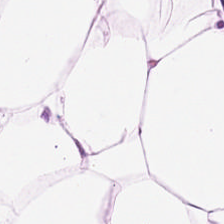H&E stain — The classification is adipose.
